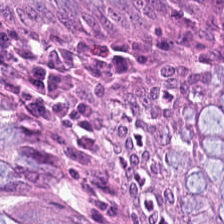Stain: H&E stain.
Acquisition: WSI patch.
Tissue type: normal colon mucosa.
